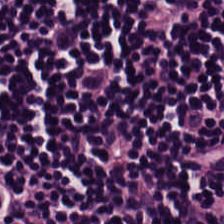Hematoxylin-and-eosin stained section — This field is lymphocytes.
